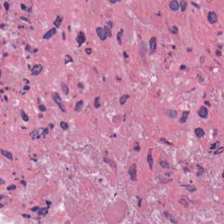Brightfield microscopy. Hematoxylin and eosin.
Predominantly cellular debris.
